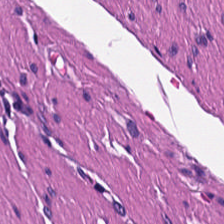0.5 µm per pixel · H&E-stained tissue section. Smooth-muscle tissue.
